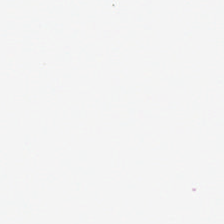H&E stain; 0.5 microns per pixel. The classification is empty background.
